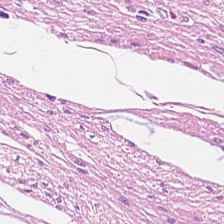H&E.
Q: Classify this patch.
A: The field shows smooth-muscle tissue.
